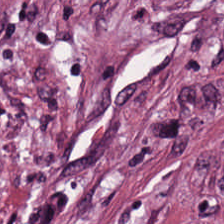Hematoxylin-and-eosin stained section. FFPE — The classification is tumor-associated stroma.
